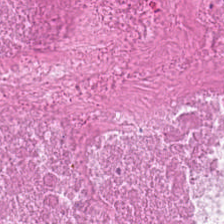FFPE tissue section; H&E stain; 0.5 microns per pixel — Tissue class: necrotic debris.
